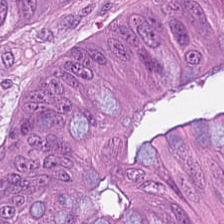H&E stain. FFPE tissue section. The predominant tissue is colorectal adenocarcinoma.
